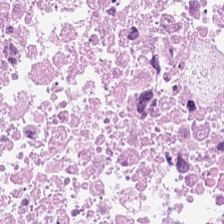224×224 pixel tile. H&E-stained tissue section. Brightfield.
Impression → necrotic debris.
